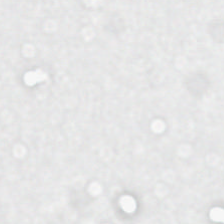Hematoxylin-and-eosin stained section · 224×224 px patch.
No tissue.
